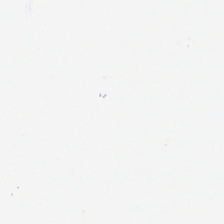H&E stain. 0.5 µm per pixel — Histology — background (no tissue).
